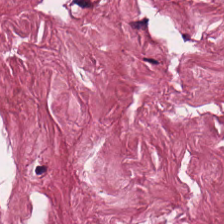Stain: H&E.
Acquisition: brightfield microscopy.
Tissue type: tumor-associated stroma.
